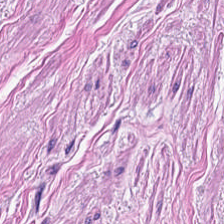Formalin-fixed paraffin-embedded section. 224×224 pixel tile. H&E stain. The predominant tissue is smooth muscle.
